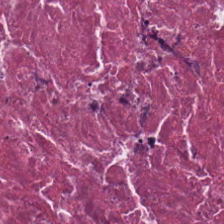H&E stain.
Finding — cellular debris.
